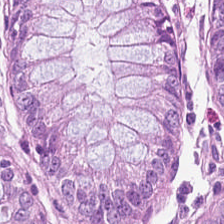H&E — Predominantly normal colonic mucosa.
